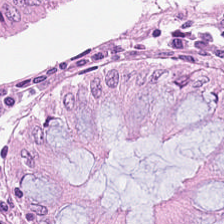H&E stain.
Q: What is shown in this field?
A: The field shows normal colonic mucosa.
